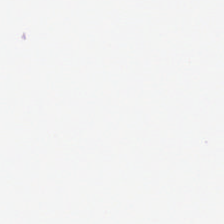H&E stain.
Q: What does this patch show?
A: It is background.
